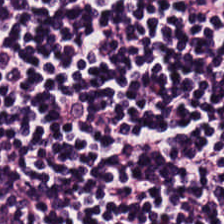H&E stain — Q: What is shown in this field?
A: Lymphocytes.
